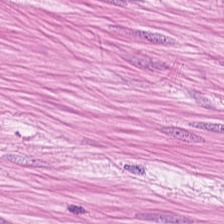Hematoxylin-and-eosin stained section.
Showing smooth muscle.
